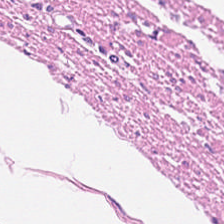FFPE tissue section · 224×224 px tile · hematoxylin and eosin — This field is smooth muscle.
